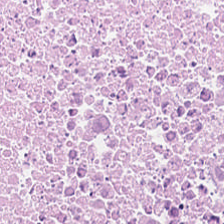FFPE tissue section; H&E-stained tissue section. Debris.
